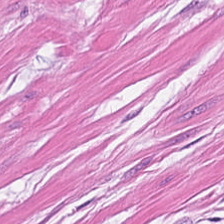Stain: hematoxylin-and-eosin stained section.
Predominant tissue: smooth-muscle tissue.
